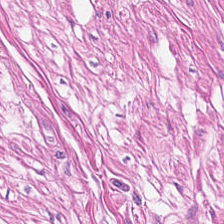Q: What does this patch show?
A: The field shows muscularis.
